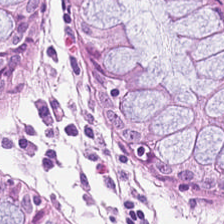0.5 microns per pixel · H&E stain — Tissue class — non-neoplastic colon mucosa.
